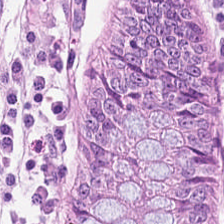Stain: H&E stain.
Classification: benign colonic mucosa.
